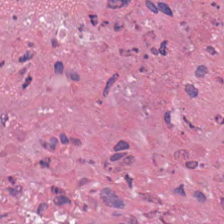Whole-slide-image patch · H&E-stained tissue section.
Predominantly cellular debris.
